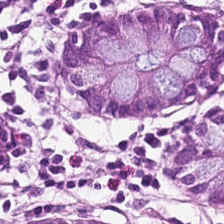Stain: H&E.
Tissue type: non-neoplastic colon mucosa.
